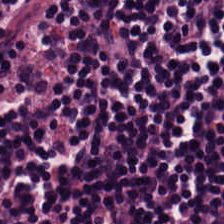H&E. Q: What type of tissue is this?
A: This is lymphocytic infiltrate.
